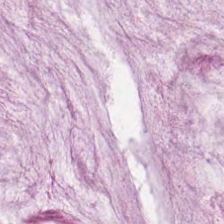H&E-stained tissue section; 224×224 pixel tile; formalin-fixed paraffin-embedded section — Q: What is the predominant tissue type?
A: The field shows mucin.
